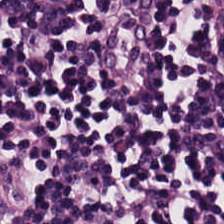0.5 microns per pixel · H&E stain. The tissue class is lymphoid infiltrate.
